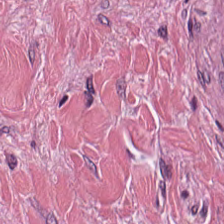Whole-slide-image patch · H&E · 0.5 µm per pixel.
Tissue class: tumor-associated stroma.
